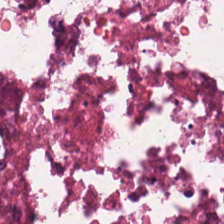H&E-stained tissue section. Histology — necrotic debris.
